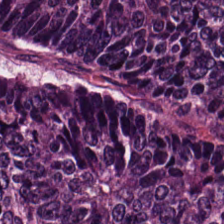Stain: H&E-stained tissue section.
Tissue class: malignant epithelium.
